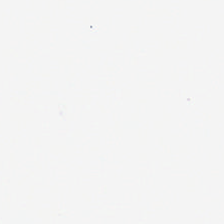H&E-stained tissue section — No tissue present; background only.
